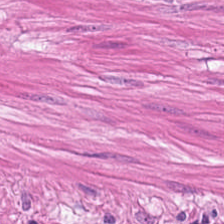H&E-stained tissue section — The tissue is muscularis.
